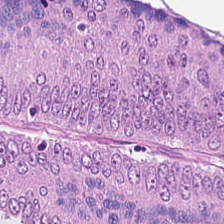H&E · 224×224 pixel tile — The predominant tissue is adenocarcinoma.
